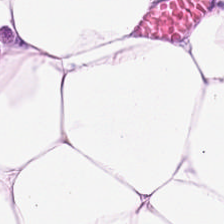Stain: H&E.
Tissue class: fat tissue.
